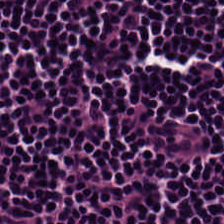Formalin-fixed paraffin-embedded section · hematoxylin-and-eosin stained section — This field is lymphocytic infiltrate.
